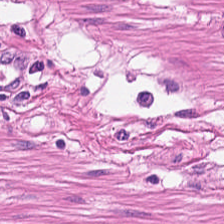Classification: muscularis.
